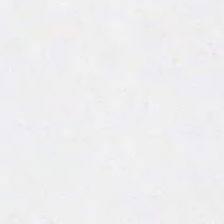Hematoxylin and eosin.
No tissue present; background only.
